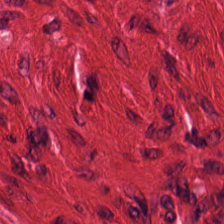Hematoxylin and eosin. Q: Identify the tissue.
A: Smooth-muscle tissue.
